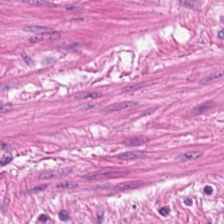Q: What is shown in this field?
A: The field shows muscularis.
